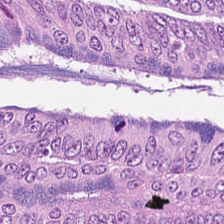FFPE. 20× equivalent magnification. H&E.
Tissue class = malignant epithelium.
